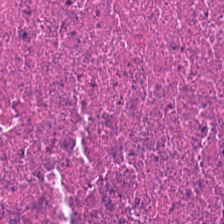The predominant tissue is cellular debris.
